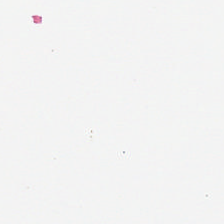FFPE. 224×224 pixel tile. Hematoxylin-and-eosin stained section.
Finding → background.
